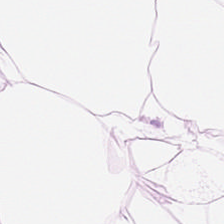Predominant tissue = adipocytes.
